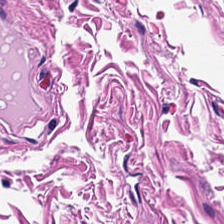The tissue here is muscularis.
